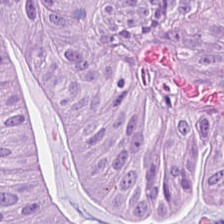H&E — Q: What tissue is shown?
A: The field shows tumor epithelium.
